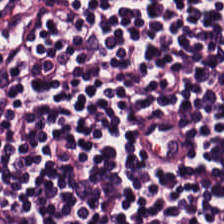Stain: H&E-stained tissue section.
Tile size: 224×224 px tile.
Preparation: FFPE.
Tissue type: lymphocytic infiltrate.
